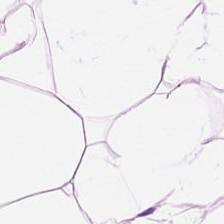Hematoxylin-and-eosin stained section. Tissue type: adipose.
